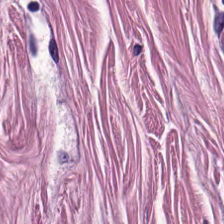Hematoxylin and eosin. Formalin-fixed paraffin-embedded section. Impression → smooth-muscle tissue.
